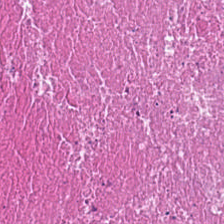Stain: hematoxylin-and-eosin stained section.
Tile size: 224×224 px patch.
Tissue class: necrotic debris.
